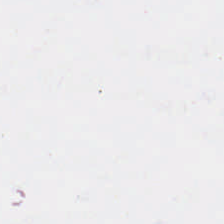224×224 pixel tile; FFPE; H&E-stained tissue section. Classification = empty background.
